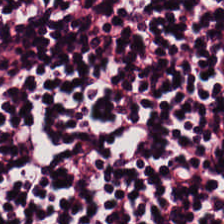Stain: H&E.
Preparation: FFPE.
Tissue: lymphoid infiltrate.
